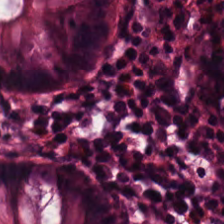H&E stain · 20× equivalent magnification.
Tissue type — non-neoplastic colon mucosa.
